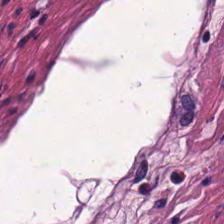H&E-stained section; the field shows smooth-muscle tissue.
